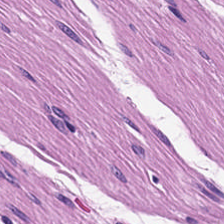Hematoxylin-and-eosin stained section. Tissue class: smooth-muscle tissue.
